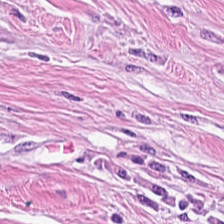H&E-stained tissue section.
Tissue type = tumor stroma.
